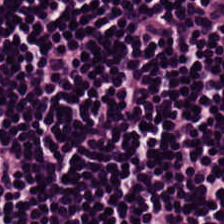Whole-slide-image patch. Hematoxylin-and-eosin stained section.
Impression — lymphocytes.
